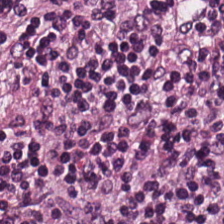0.5 microns per pixel; H&E-stained tissue section.
Tissue class — lymphocytic infiltrate.
